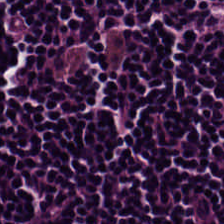The tissue here is lymphocyte aggregate.
